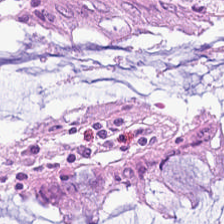Stain: H&E-stained tissue section.
Tissue class: normal colonic mucosa.
